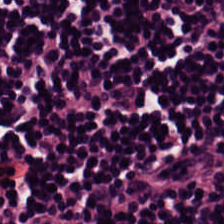224×224 pixel tile · whole-slide-image patch · hematoxylin and eosin.
Q: What is shown in this field?
A: This is lymphocytic infiltrate.
